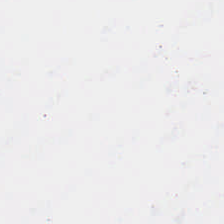WSI patch. H&E.
No tissue.
